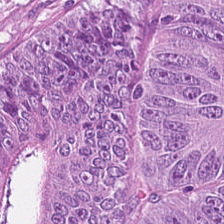This field is malignant epithelium.
